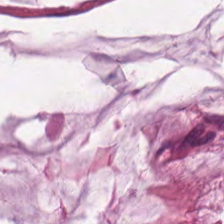224×224 px tile; hematoxylin and eosin; 0.5 µm per pixel.
The tissue type is mucus.
